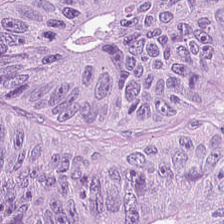Stain: H&E-stained tissue section.
Acquisition: brightfield.
Tissue type: adenocarcinoma.
